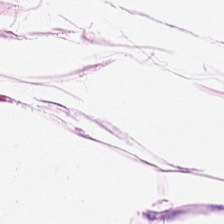H&E-stained tissue section. Q: What is shown in this field?
A: It is adipose.
